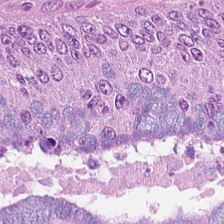Stain: hematoxylin-and-eosin stained section.
Preparation: FFPE.
Resolution: 20× equivalent magnification.
Tissue: tumor epithelium.
